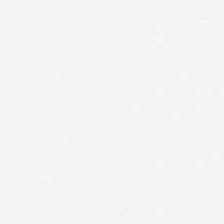0.5 microns per pixel. Hematoxylin-and-eosin stained section. {"content": "background"}
